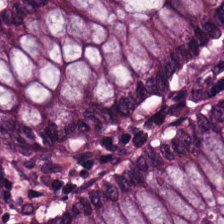H&E. Tissue type: benign colonic mucosa.
